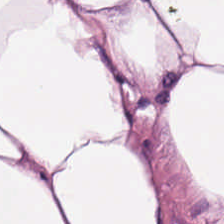H&E-stained tissue section; FFPE tissue section — Tissue — adipocytes.
